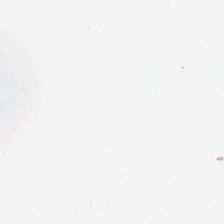Formalin-fixed paraffin-embedded section. Hematoxylin-and-eosin stained section. 0.5 µm/px. This patch shows background.
